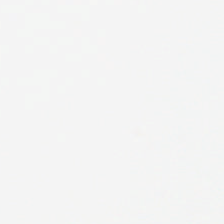Q: What is shown in this field?
A: No tissue.
